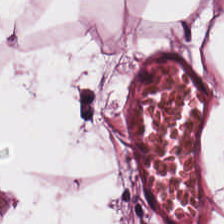Q: What tissue type is shown here?
A: It is adipose tissue.
